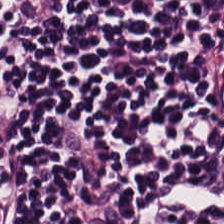The tissue type is lymphocytic infiltrate.
